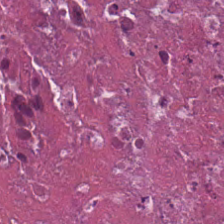224×224 px tile · hematoxylin-and-eosin stained section. Tissue type = necrotic debris.
